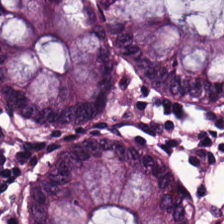{"tissue_type": "normal colon mucosa"}
